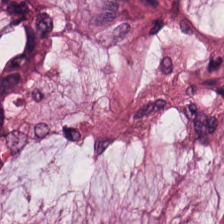224×224 px patch. 0.5 µm per pixel. H&E stain. This patch shows mucin.
